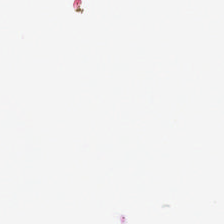Hematoxylin and eosin · 224×224 px patch.
{"content": "background (no tissue)"}
